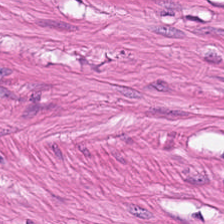Hematoxylin-and-eosin stained section. The tissue is smooth-muscle tissue.
